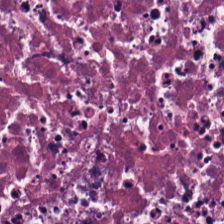Whole-slide-image patch · H&E stain.
Q: What does this patch show?
A: Cellular debris.
